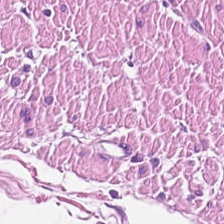Stain: hematoxylin and eosin.
Acquisition: brightfield microscopy.
Predominant tissue: smooth-muscle tissue.
